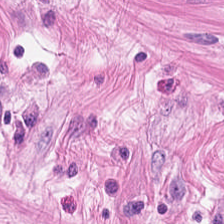Histology — smooth muscle.
